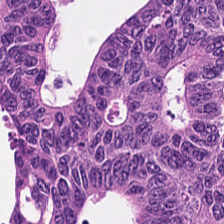Tissue class: colorectal adenocarcinoma epithelium.
